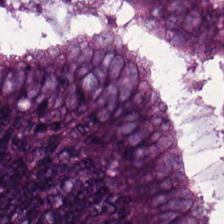Histology → tumor epithelium.
